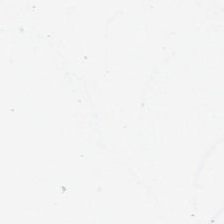Field content: background (no tissue).
